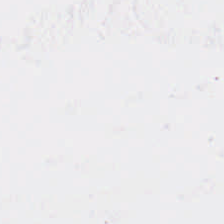FFPE. Hematoxylin and eosin. WSI patch — Content — empty background.
